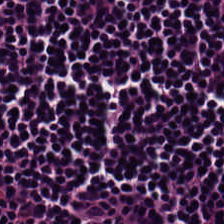Impression — lymphocyte aggregate.
